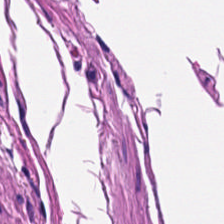Hematoxylin and eosin — Tissue class — muscularis.
